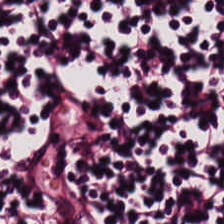H&E-stained tissue section showing lymphocyte aggregate.
